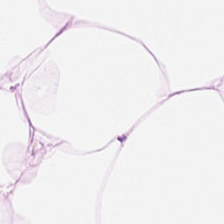H&E. The tissue class is adipose.
